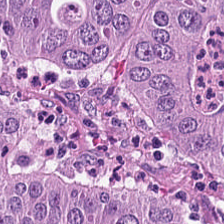Hematoxylin and eosin — This patch shows tumor epithelium.
